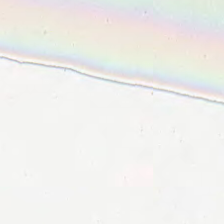This patch shows no tissue.
